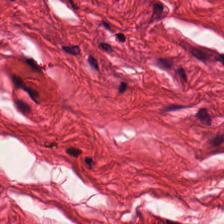Tissue: smooth-muscle tissue.
